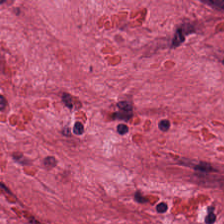Brightfield microscopy; 0.5 microns per pixel; H&E-stained tissue section — Finding — desmoplastic stroma.
